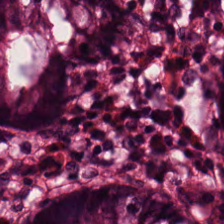Tissue class — normal colon mucosa.
